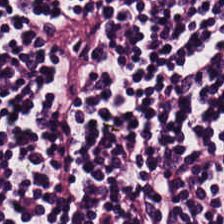WSI patch. H&E-stained tissue section. 224×224 px tile.
Histology — lymphoid infiltrate.
